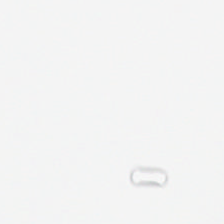Q: What is shown here?
A: It is empty background.
